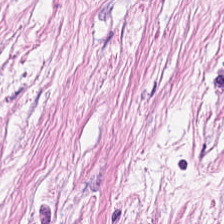Q: Classify this patch.
A: This is cancer-associated stroma.
